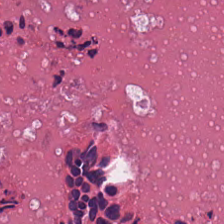Hematoxylin and eosin.
Debris.
